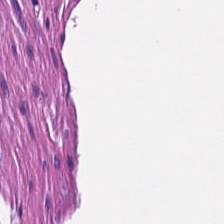Tissue class = smooth muscle.
